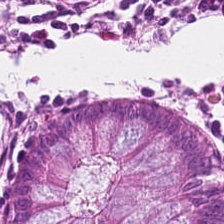H&E-stained tissue section — Tissue = normal colonic mucosa.
